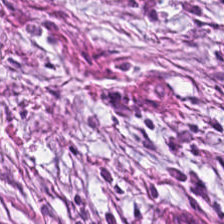Hematoxylin-and-eosin section: cancer-associated stroma.
